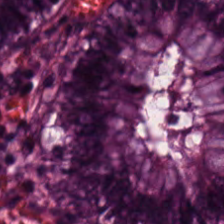H&E.
Tissue class — normal colonic mucosa.
